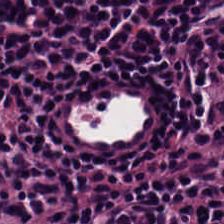Stain: H&E-stained tissue section.
Predominant tissue: lymphocytic infiltrate.
